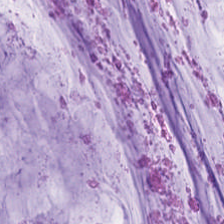H&E-stained tissue section. This patch shows extracellular mucin.
